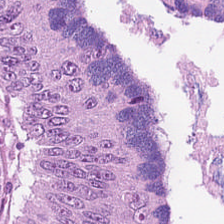Stain: hematoxylin-and-eosin stained section.
Classification: tumor epithelium.
